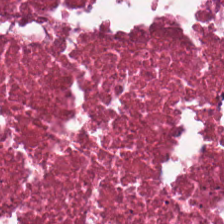WSI patch. 0.5 µm/px. H&E stain. Predominantly necrotic debris.
